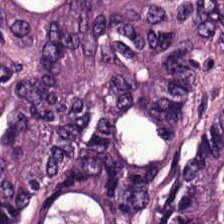WSI patch; hematoxylin-and-eosin stained section; 20× equivalent magnification — Q: Classify this patch.
A: The field shows colorectal adenocarcinoma.
